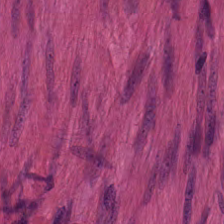Histology → smooth muscle.
